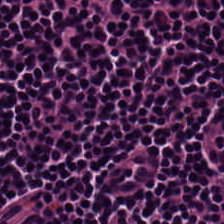Q: Classify this patch.
A: This is lymphocytes.
